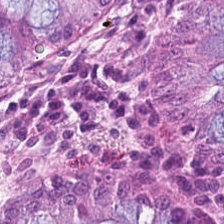H&E-stained tissue section; 224×224 px tile — Tissue — normal colon mucosa.
